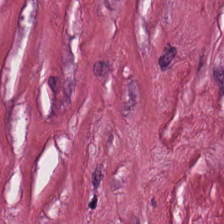H&E stain.
The tissue is tumor stroma.
